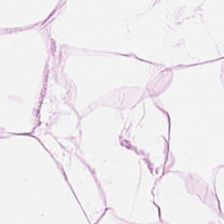Hematoxylin and eosin. Predominant tissue — adipocytes.
